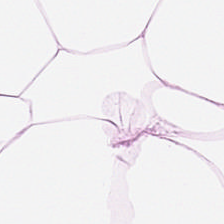224×224 pixel tile · H&E-stained tissue section · formalin-fixed paraffin-embedded section. This field is adipose tissue.
